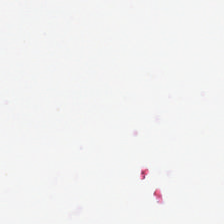H&E-stained tissue section.
Impression — background (no tissue).
